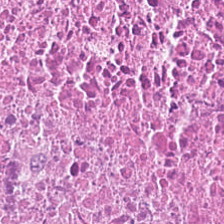Hematoxylin and eosin; WSI patch. Finding — cellular debris.
